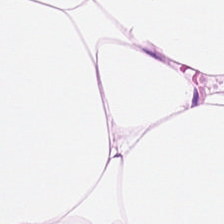0.5 µm/px; H&E stain.
Classification: fat tissue.
